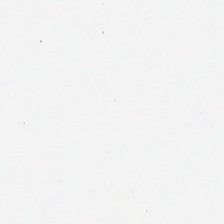H&E-stained tissue section.
Q: Classify this patch.
A: This is no tissue.
